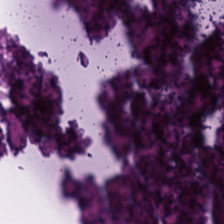224×224 px tile · hematoxylin-and-eosin stained section. Predominantly debris.
